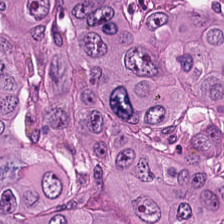H&E-stained section; the field shows colorectal adenocarcinoma epithelium.
